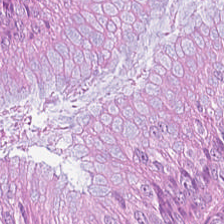Stain: hematoxylin-and-eosin stained section.
Resolution: 20× equivalent magnification.
Predominant tissue: malignant epithelium.
